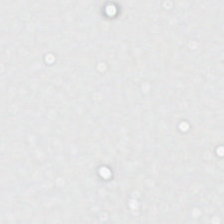Impression → empty background.
